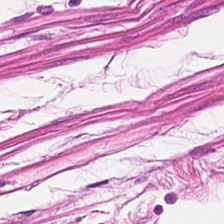Hematoxylin-and-eosin stained section.
The classification is smooth-muscle tissue.
